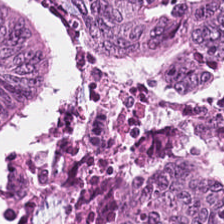Brightfield · H&E-stained tissue section. Tissue class: colorectal adenocarcinoma epithelium.
